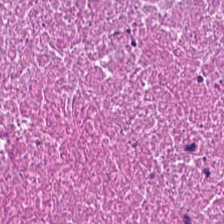H&E-stained tissue section. WSI patch. Formalin-fixed paraffin-embedded section — The tissue here is necrotic debris.
